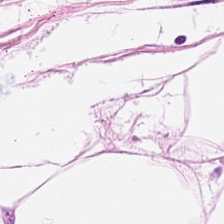Stain: hematoxylin and eosin.
Resolution: 20× equivalent magnification.
Tissue type: adipocytes.
